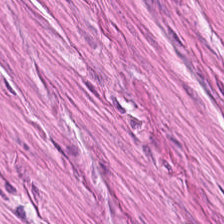H&E-stained tissue section. Finding → smooth muscle.
